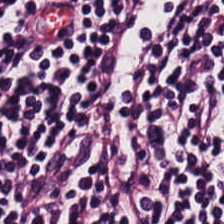H&E. WSI patch.
{"tissue_type": "lymphocytes"}
